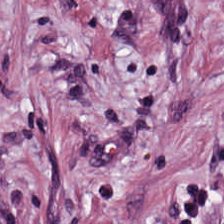Classification = tumor stroma.
